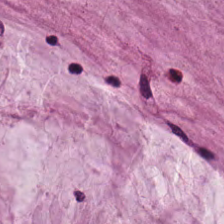H&E. The tissue here is mucus.
